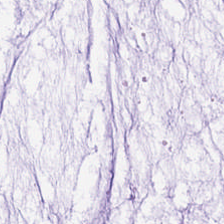The tissue type is extracellular mucin.
